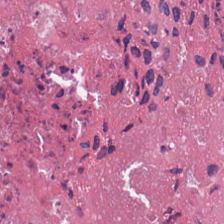Histology → cellular debris.
